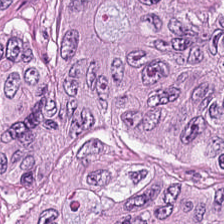Tissue class — malignant epithelium.
